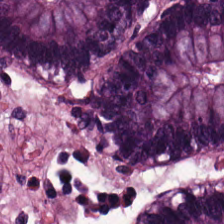Normal colonic mucosa.
